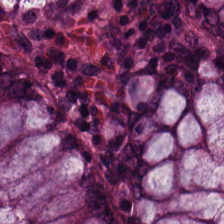H&E-stained tissue section — Classification — normal colon mucosa.
